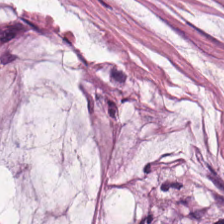H&E — Tissue type = extracellular mucin.
